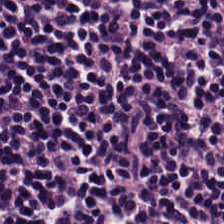Hematoxylin and eosin; 20× equivalent magnification; formalin-fixed paraffin-embedded section.
Predominant tissue — lymphocyte aggregate.
